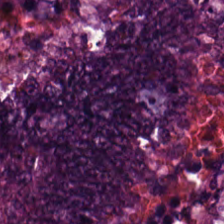Brightfield. FFPE. Hematoxylin-and-eosin stained section. The predominant tissue is adenocarcinoma.
